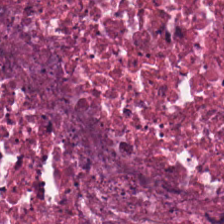H&E-stained tissue section. Q: What does this patch show?
A: This is debris.
